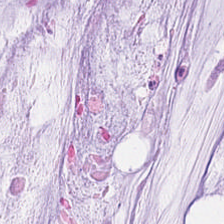H&E stain · 224×224 px tile · whole-slide-image patch. Mucin.
